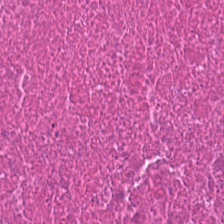Debris.
